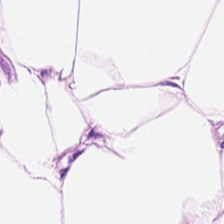H&E · 0.5 microns per pixel · 224×224 pixel tile.
Impression — adipose.
